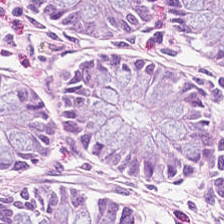Brightfield microscopy. H&E — Q: What tissue is shown?
A: This is normal colonic mucosa.
